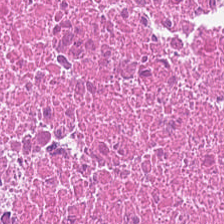0.5 µm per pixel · H&E stain. This field is debris.
